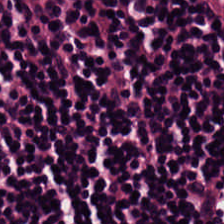H&E-stained tissue section. 224×224 px patch. Whole-slide-image patch. Histology → lymphoid infiltrate.
